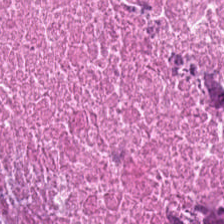H&E stain. Classification = debris.
